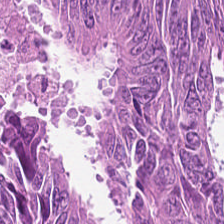Stain: H&E-stained tissue section.
Predominant tissue: malignant epithelium.
